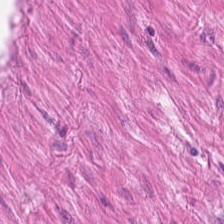H&E patch showing muscularis.
